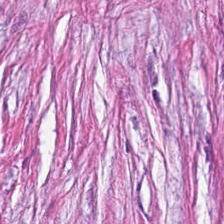0.5 microns per pixel; 224×224 px patch; hematoxylin-and-eosin stained section.
Histology → tumor stroma.
